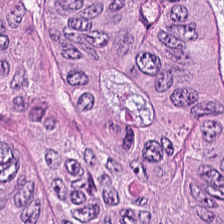H&E-stained tissue section. 0.5 µm per pixel.
Q: Identify the tissue.
A: It is tumor epithelium.
